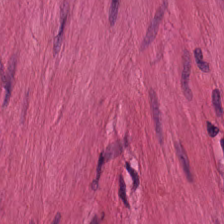H&E; 0.5 microns per pixel — Q: What is shown in this field?
A: It is muscularis.
